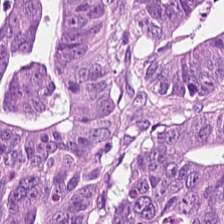FFPE tissue section; 0.5 µm/px; hematoxylin and eosin — The predominant tissue is tumor epithelium.
